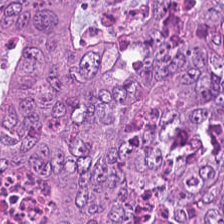Q: What tissue is shown?
A: It is adenocarcinoma.
